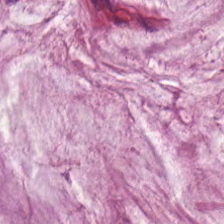H&E-stained tissue section.
Q: What does this patch show?
A: This is mucin.
